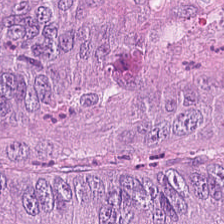Hematoxylin and eosin · WSI patch · formalin-fixed paraffin-embedded section.
Q: What does this patch show?
A: Malignant epithelium.
